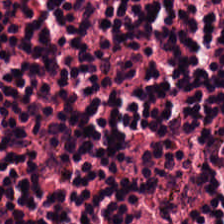Hematoxylin and eosin · 224×224 px patch · WSI patch — Showing lymphoid infiltrate.
